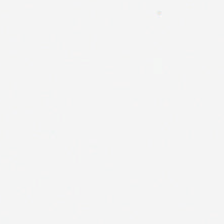Hematoxylin and eosin.
Impression — background.
